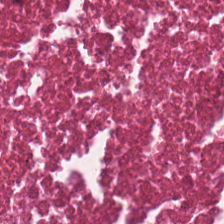H&E stain. Predominant tissue = debris.
